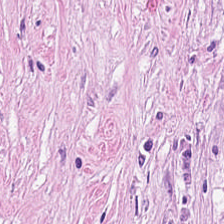224×224 px patch; H&E-stained tissue section; 0.5 µm/px. {"tissue_type": "desmoplastic stroma"}
